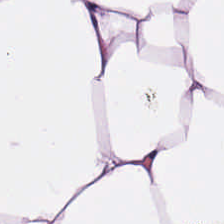20× equivalent magnification. Hematoxylin-and-eosin stained section. Formalin-fixed paraffin-embedded section. This patch shows adipose.
